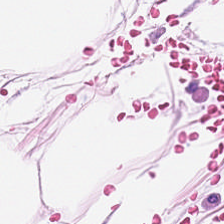Hematoxylin-and-eosin stained section. Q: What is shown in this field?
A: This is adipocytes.
